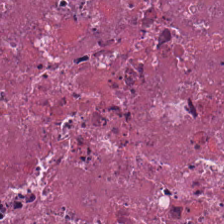Hematoxylin and eosin; WSI patch. The predominant tissue is cellular debris.
